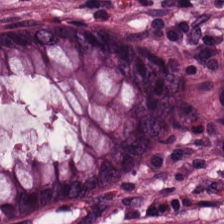This field is normal colonic mucosa.
